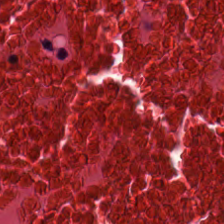Q: What type of tissue is this?
A: This is necrotic debris.
